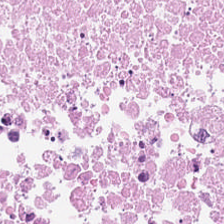H&E stain — The tissue is necrotic debris.
